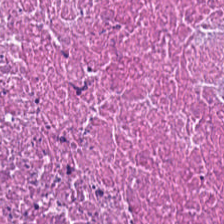H&E-stained tissue section.
This field is debris.
